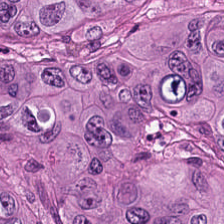Stain: hematoxylin-and-eosin stained section.
Tissue type: colorectal adenocarcinoma.
